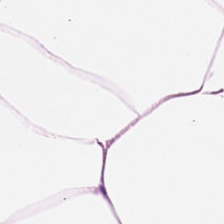Brightfield · hematoxylin and eosin · 224×224 px tile — Tissue: fat tissue.
